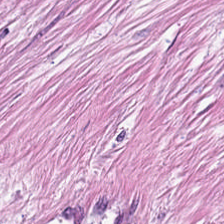Hematoxylin and eosin; whole-slide-image patch; 224×224 px tile — The tissue here is tumor stroma.
